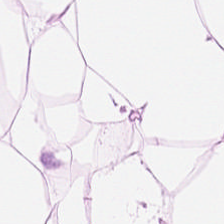Showing adipose.
